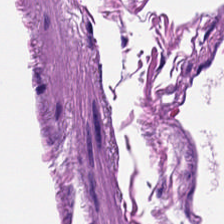H&E — smooth muscle.
